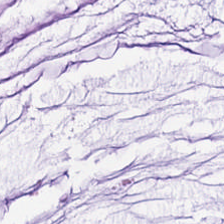Hematoxylin-and-eosin section: mucin.
